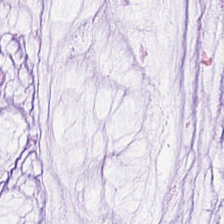Hematoxylin-and-eosin stained section.
Histology → mucin.
